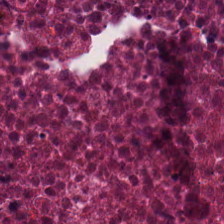Q: What tissue type is shown here?
A: Necrotic debris.
